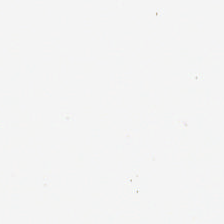Classification: background.
